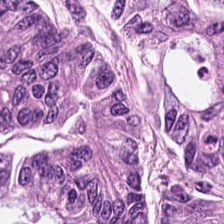The classification is malignant epithelium.
